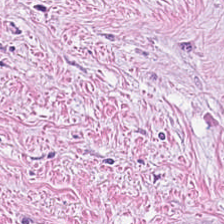Stain: hematoxylin-and-eosin stained section.
Tissue: tumor-associated stroma.
